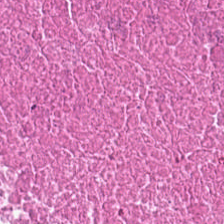H&E stain.
Q: What tissue is shown?
A: Cellular debris.
